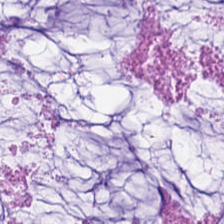224×224 px tile · H&E-stained tissue section.
Predominantly mucus.
